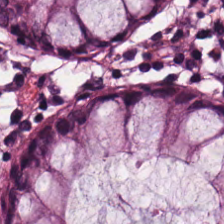H&E-stained tissue section · 224×224 px tile — The predominant tissue is non-neoplastic colon mucosa.
